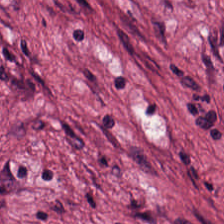H&E stain · whole-slide-image patch — The predominant tissue is tumor-associated stroma.
